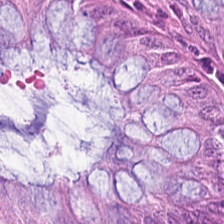224×224 px tile; WSI patch; hematoxylin and eosin. Q: What tissue is shown?
A: This is normal colon mucosa.
